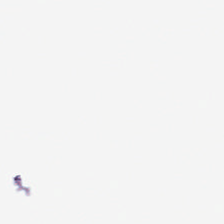H&E-stained tissue section; WSI patch. Background — no tissue in this field.
